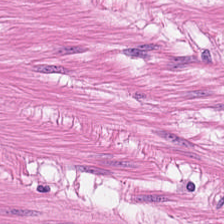H&E-stained tissue section — Histology — muscularis.
